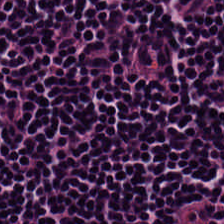H&E stain — Q: What is shown in this field?
A: It is lymphocytic infiltrate.
